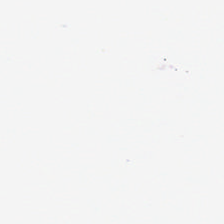Hematoxylin and eosin. The content is background (no tissue).
